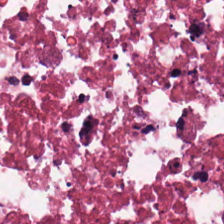H&E stain. Q: What does this patch show?
A: This is debris.
